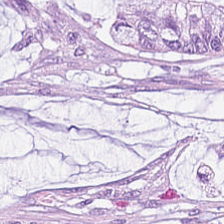Hematoxylin-and-eosin stained section. Histology → extracellular mucin.
